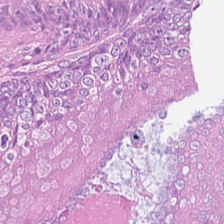224×224 px patch. H&E-stained tissue section.
The tissue here is tumor epithelium.
